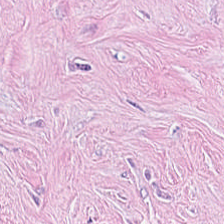This field is cancer-associated stroma.
